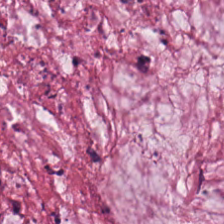Hematoxylin-and-eosin stained section — This field is mucin.
